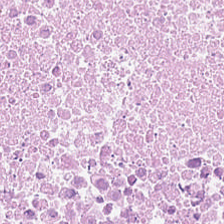Hematoxylin and eosin — Finding — debris.
